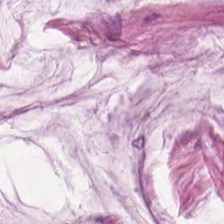Stain: H&E.
Tissue type: extracellular mucin.
